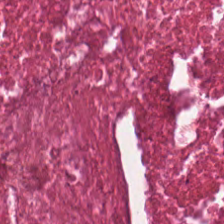Hematoxylin-and-eosin stained section — Predominant tissue = cellular debris.
